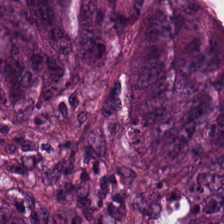H&E — colorectal adenocarcinoma.
